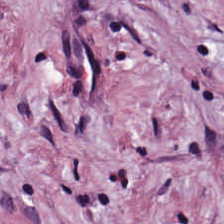0.5 microns per pixel; H&E stain.
{"tissue_type": "desmoplastic stroma"}
